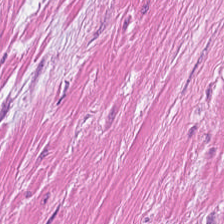H&E patch showing smooth muscle.
